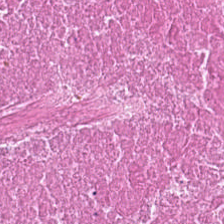FFPE tissue section · H&E — Tissue class — cellular debris.
